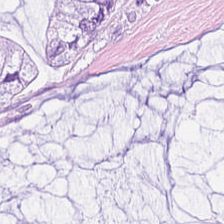Hematoxylin-and-eosin stained section; FFPE tissue section — The tissue is mucus.
